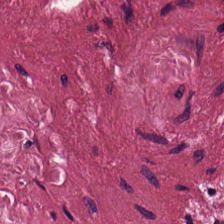224×224 pixel tile. H&E stain. The predominant tissue is cancer-associated stroma.
